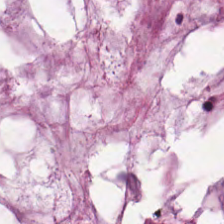H&E stain — This patch shows mucus.
